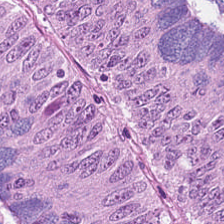0.5 µm/px; hematoxylin-and-eosin stained section. The predominant tissue is tumor epithelium.
